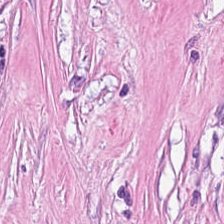Stain: H&E-stained tissue section.
Tissue: tumor-associated stroma.
